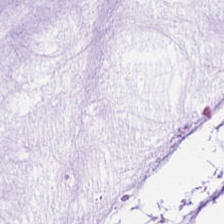H&E — Tissue type — extracellular mucin.
